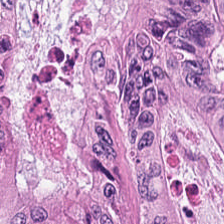0.5 µm per pixel; H&E stain; FFPE tissue section. Predominantly colorectal adenocarcinoma.
